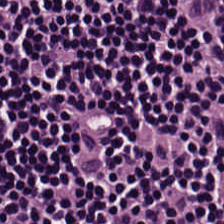H&E — Lymphoid infiltrate.
